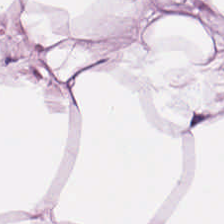Adipose tissue.
